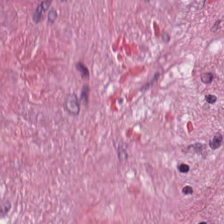224×224 px tile. H&E-stained tissue section — Histology — tumor stroma.
